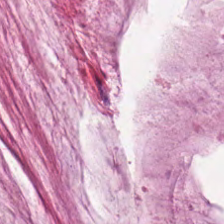H&E; WSI patch.
Tissue type — extracellular mucin.
